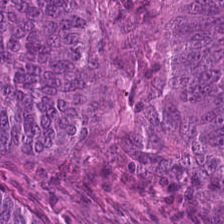Whole-slide-image patch; hematoxylin and eosin.
The predominant tissue is colorectal adenocarcinoma epithelium.
